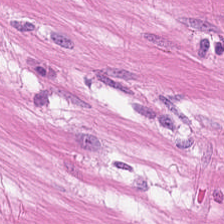The tissue is muscularis.
